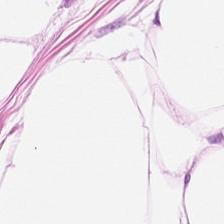Q: What is the predominant tissue type?
A: The field shows adipocytes.
